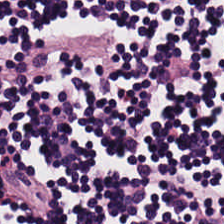Hematoxylin and eosin. This field is lymphoid infiltrate.
